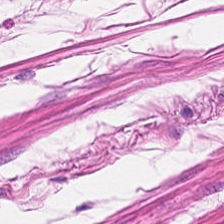Q: Identify the tissue.
A: Smooth-muscle tissue.
